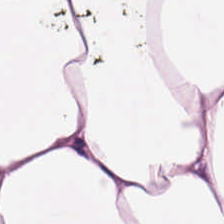Hematoxylin and eosin · brightfield — This patch shows fat tissue.
